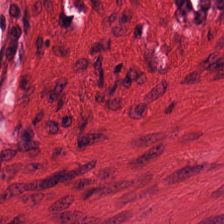224×224 pixel tile. H&E-stained tissue section — The predominant tissue is smooth muscle.
